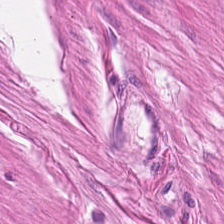Hematoxylin-and-eosin stained section. Tissue type = smooth muscle.
